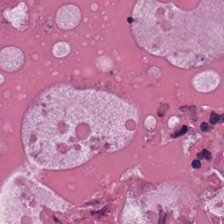Hematoxylin-and-eosin stained section. Q: Identify the tissue.
A: This is necrotic debris.
